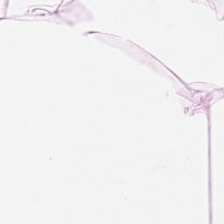Stain: H&E stain.
Resolution: 0.5 microns per pixel.
Predominant tissue: adipose tissue.
